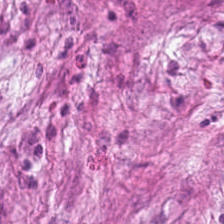The predominant tissue is tumor stroma.
